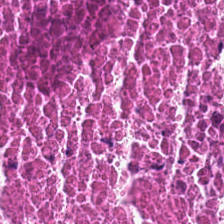H&E-stained tissue section.
This patch shows necrotic debris.
